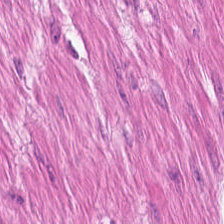0.5 µm/px; H&E-stained tissue section. Impression → smooth-muscle tissue.
